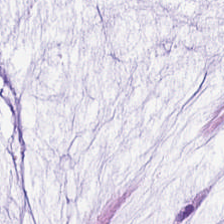FFPE. Hematoxylin-and-eosin stained section — Q: What tissue is shown?
A: It is mucin.
